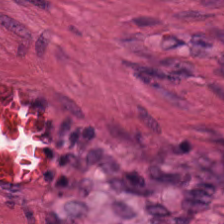224×224 px patch. FFPE. H&E-stained tissue section — Tissue class: smooth muscle.
